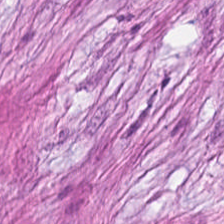{"tissue_type": "tumor-associated stroma"}
